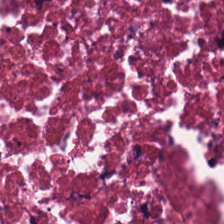Tissue — cellular debris.
